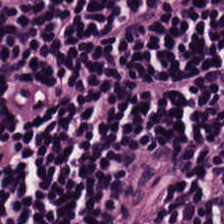Hematoxylin and eosin; brightfield. Lymphocyte aggregate.
